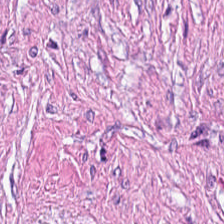Hematoxylin-and-eosin stained section · 0.5 µm per pixel · formalin-fixed paraffin-embedded section — Showing tumor stroma.
